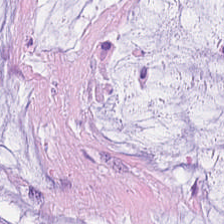Stain: hematoxylin-and-eosin stained section.
Resolution: 0.5 µm per pixel.
Tissue type: mucin.
